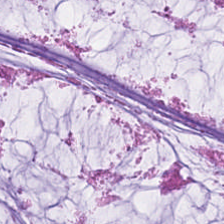H&E stain.
Finding → mucin.
